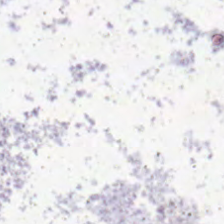Empty field — background.
